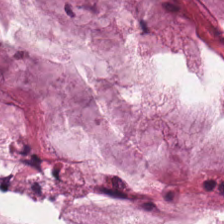Whole-slide-image patch · formalin-fixed paraffin-embedded section · hematoxylin and eosin.
Tissue = mucus.
